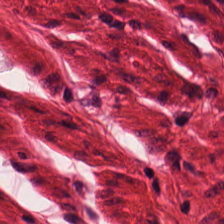H&E-stained tissue section — Classification = smooth-muscle tissue.
